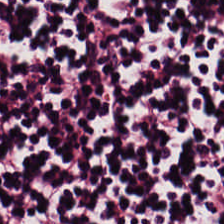FFPE; H&E-stained tissue section. Classification = lymphocyte aggregate.
